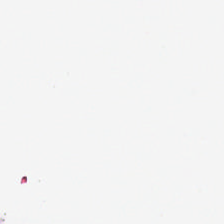H&E stain. Content = no tissue.
